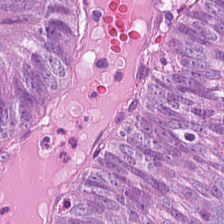H&E stain. 224×224 px patch.
This patch shows colorectal adenocarcinoma.
